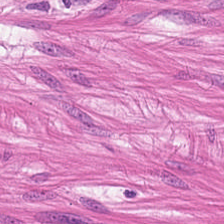{"tissue_type": "smooth muscle"}
